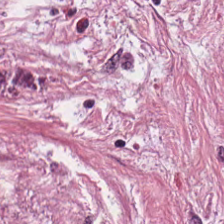Hematoxylin-and-eosin stained section. Tissue class: tumor stroma.
